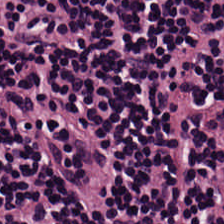H&E-stained tissue section; 0.5 microns per pixel.
The tissue class is lymphocyte aggregate.
